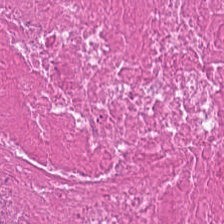Hematoxylin-and-eosin stained section — This patch shows cellular debris.
